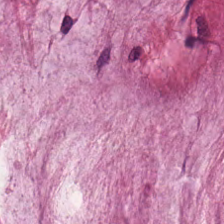Hematoxylin and eosin. Predominant tissue: extracellular mucin.
